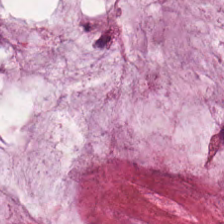Stain: H&E.
Preparation: formalin-fixed paraffin-embedded section.
Predominant tissue: mucus.
